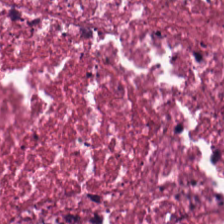H&E · brightfield microscopy.
Q: What type of tissue is this?
A: Necrotic debris.
